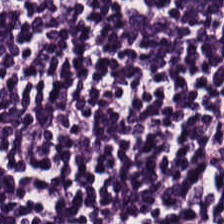FFPE tissue section; hematoxylin-and-eosin stained section; 0.5 microns per pixel.
The predominant tissue is lymphocyte aggregate.
